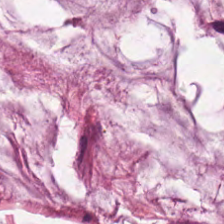Hematoxylin and eosin — Tissue: mucus.
